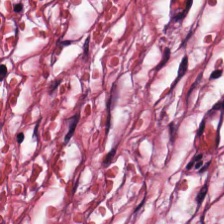H&E stain. Showing tumor-associated stroma.
